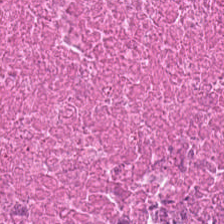Stain: H&E-stained tissue section.
Tissue class: cellular debris.
